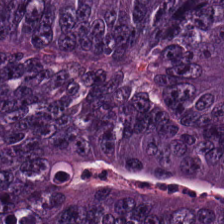H&E · 0.5 µm per pixel.
Q: What tissue is shown?
A: It is colorectal adenocarcinoma epithelium.
